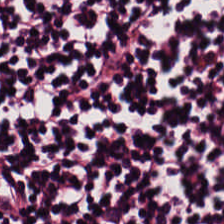H&E. Histology — lymphoid infiltrate.
